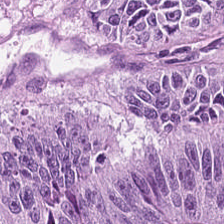H&E-stained tissue section showing adenocarcinoma.
